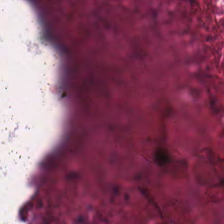0.5 µm/px. H&E — Finding → cellular debris.
